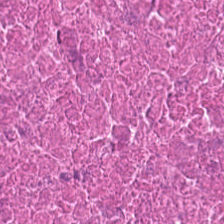Stain: H&E stain.
Tissue class: cellular debris.
